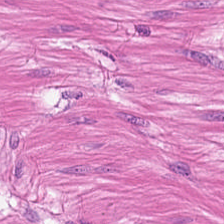H&E stain — Tissue = smooth muscle.
